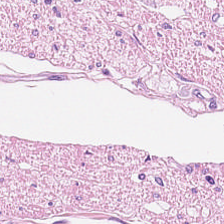Hematoxylin-and-eosin stained section — The tissue is smooth-muscle tissue.
